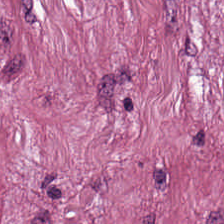Impression — cancer-associated stroma.
